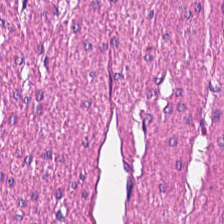Brightfield microscopy. FFPE. H&E-stained tissue section — Predominantly muscularis.
